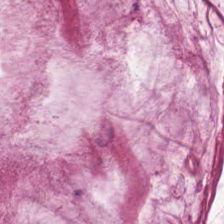Formalin-fixed paraffin-embedded section · H&E-stained tissue section · brightfield microscopy — Q: What is shown here?
A: Mucus.
